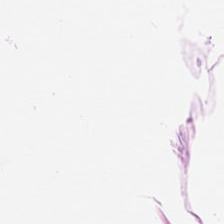Hematoxylin and eosin. Classification = adipose.
